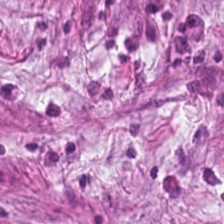Predominant tissue: cancer-associated stroma.
